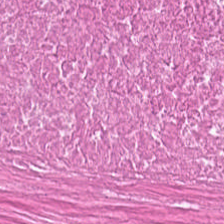H&E-stained tissue section — The predominant tissue is cellular debris.
